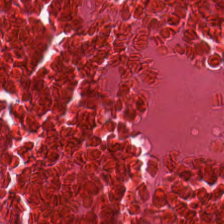Stain: H&E.
Tissue: necrotic debris.
